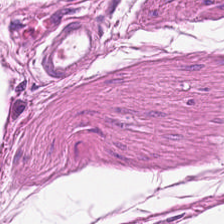The predominant tissue is smooth muscle.
